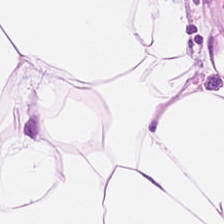0.5 microns per pixel. Brightfield. Hematoxylin-and-eosin stained section — Showing adipocytes.
